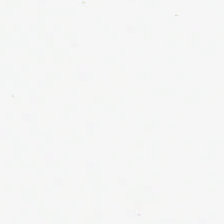Q: What is shown here?
A: Background.
